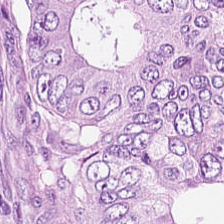This patch shows colorectal adenocarcinoma.
